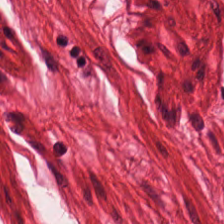Tissue class: smooth muscle.
